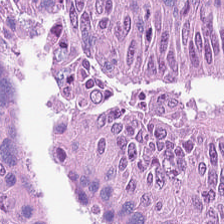Hematoxylin-and-eosin stained section.
The tissue here is adenocarcinoma.
